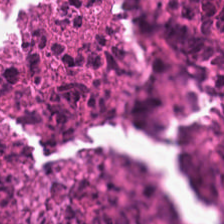Hematoxylin-and-eosin stained section.
Predominantly debris.
